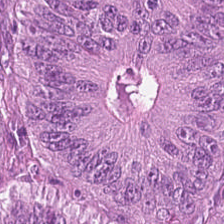Stain: H&E stain.
Classification: colorectal adenocarcinoma.
